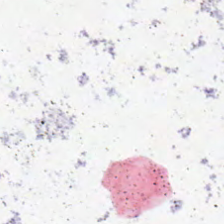H&E. Q: What is shown here?
A: Empty background.
